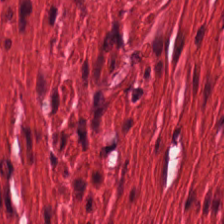Stain: hematoxylin-and-eosin stained section.
Tissue type: muscularis.
